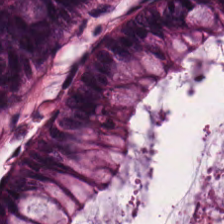Whole-slide-image patch. H&E. 224×224 px patch — Tissue — normal colon mucosa.
